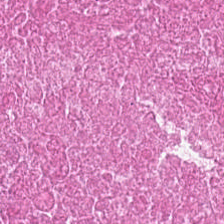Impression → necrotic debris.
